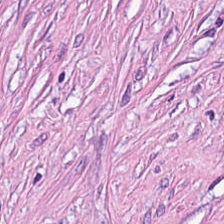Tissue class: tumor stroma.
